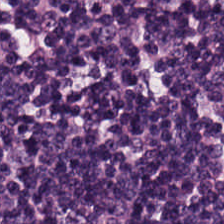Hematoxylin and eosin. Impression — lymphocyte aggregate.
